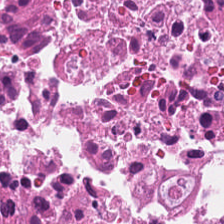Hematoxylin and eosin. Tissue type = cellular debris.
